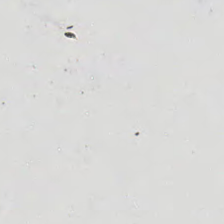Q: What is shown here?
A: This is background (no tissue).
